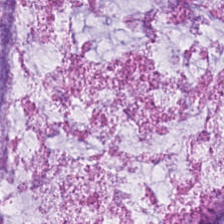0.5 microns per pixel; H&E stain — Tissue type: mucus.
